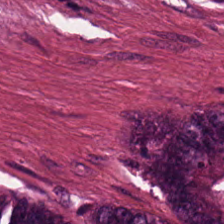Hematoxylin-and-eosin stained section — The tissue here is adenocarcinoma.
